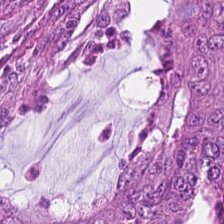Stain: hematoxylin and eosin.
Classification: malignant epithelium.
